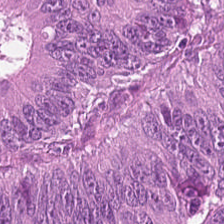Hematoxylin and eosin; 20× equivalent magnification.
Tissue type: colorectal adenocarcinoma epithelium.
